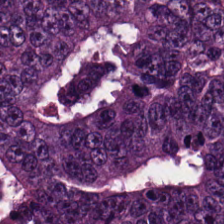H&E · brightfield — Predominantly colorectal adenocarcinoma.
